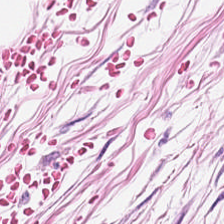Q: What does this patch show?
A: This is adipose.
